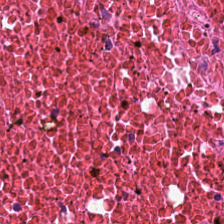0.5 µm per pixel. H&E-stained tissue section. Q: What is shown here?
A: It is debris.
